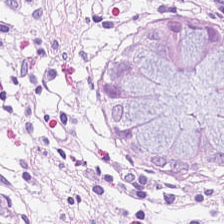224×224 px tile. H&E.
This field is normal colonic mucosa.
